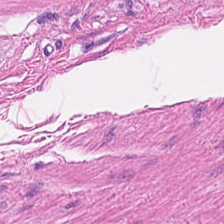H&E-stained tissue section. Tissue: smooth-muscle tissue.
